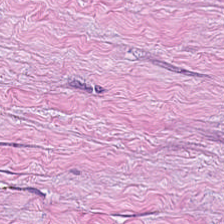H&E-stained tissue section · 224×224 px tile.
Showing desmoplastic stroma.
